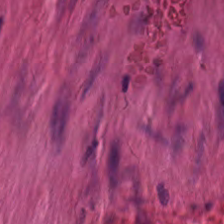This field is smooth-muscle tissue.
